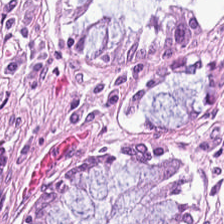The tissue is non-neoplastic colon mucosa.
